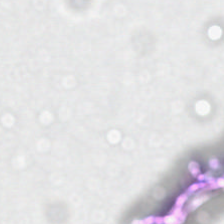H&E stain. Brightfield — Finding — no tissue.
